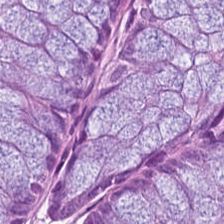0.5 µm/px. H&E stain. The tissue here is non-neoplastic colon mucosa.
